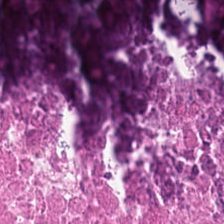Tissue class — necrotic debris.
